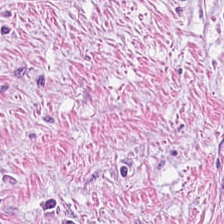H&E stain — Tissue class = cancer-associated stroma.
